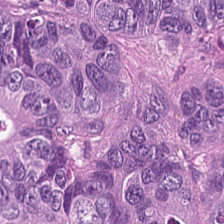This field is tumor epithelium.
